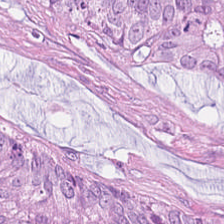224×224 px patch; hematoxylin and eosin. Tissue type: adenocarcinoma.
